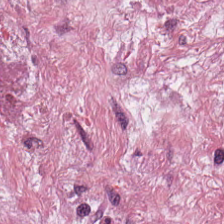Stain: hematoxylin-and-eosin stained section.
Tissue type: desmoplastic stroma.
